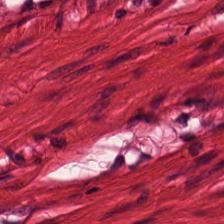This patch shows smooth-muscle tissue.
